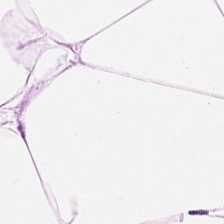Stain: H&E.
Acquisition: brightfield microscopy.
Tissue class: adipose tissue.
